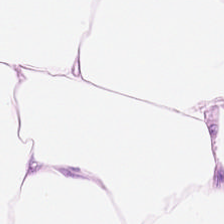H&E — Adipose.
